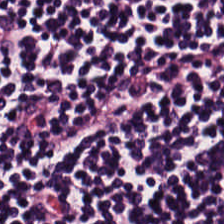H&E. The tissue here is lymphocytes.
